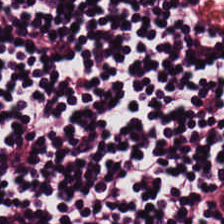224×224 pixel tile. Hematoxylin and eosin — Predominant tissue = lymphocytes.
